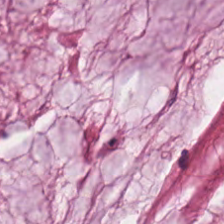H&E-stained tissue section.
Q: What does this patch show?
A: This is mucin.
